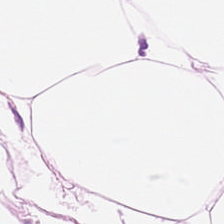Hematoxylin and eosin.
{"tissue_type": "adipose"}
